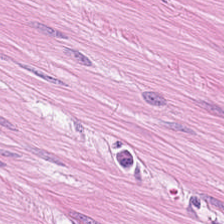Brightfield microscopy; H&E — Impression → smooth-muscle tissue.
